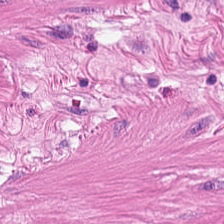H&E-stained section; the field shows muscularis.
